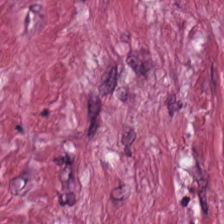Predominant tissue = tumor stroma.
